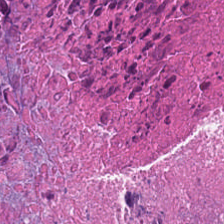Stain: hematoxylin and eosin.
Tissue: debris.
